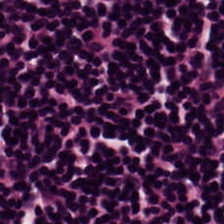H&E. This field is lymphocytic infiltrate.
